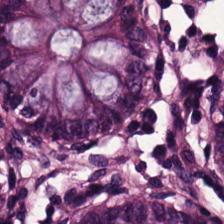H&E stain. The tissue class is non-neoplastic colon mucosa.
